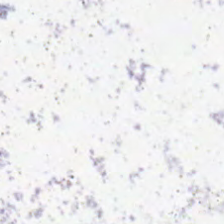Histology → background.
